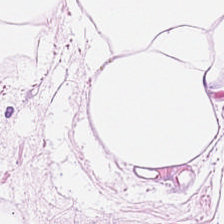H&E-stained tissue section.
This patch shows fat tissue.
